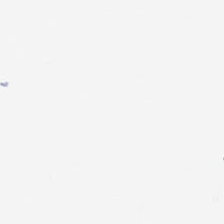Background (no tissue).
